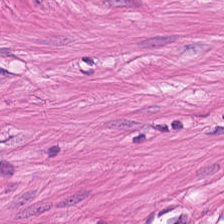H&E.
Tissue type: muscularis.
